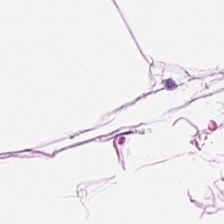{"tissue_type": "adipose tissue"}
